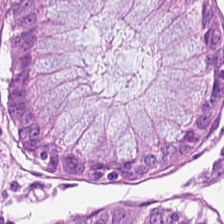H&E stain · 224×224 pixel tile.
This field is normal colon mucosa.
